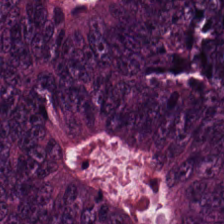224×224 px patch · H&E stain · FFPE tissue section. Predominantly malignant epithelium.
